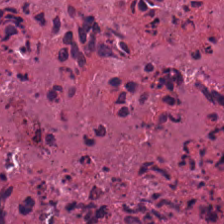H&E. Classification = debris.
